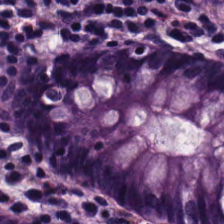H&E. Showing non-neoplastic colon mucosa.
